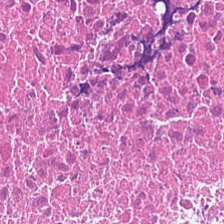Predominant tissue = necrotic debris.
